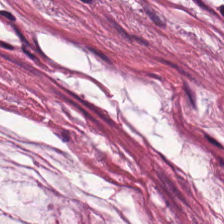Impression — extracellular mucin.
